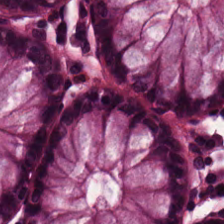Stain: H&E-stained tissue section.
Preparation: FFPE.
Classification: normal colonic mucosa.
